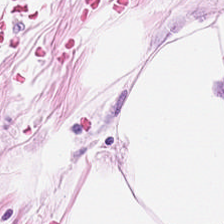Hematoxylin-and-eosin stained section — Q: What does this patch show?
A: Fat tissue.
